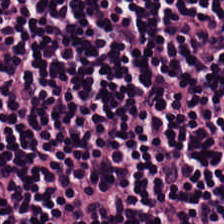Hematoxylin-and-eosin stained section. Predominantly lymphocyte aggregate.
